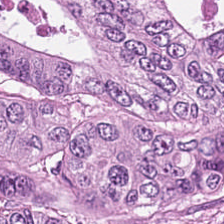H&E stain — The tissue type is colorectal adenocarcinoma epithelium.
